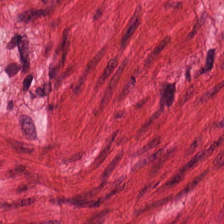Hematoxylin-and-eosin stained section; FFPE tissue section; 0.5 microns per pixel — Q: Identify the tissue.
A: This is smooth muscle.
